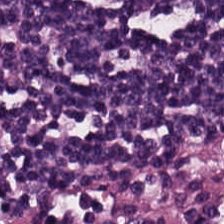H&E stain. Tissue type = lymphocytic infiltrate.
